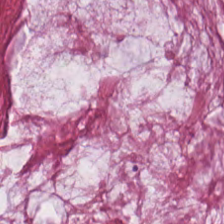Stain: H&E.
Tissue type: mucin.
